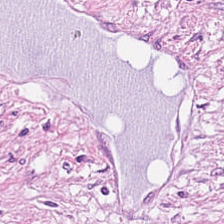FFPE · hematoxylin-and-eosin stained section. Histology → desmoplastic stroma.
